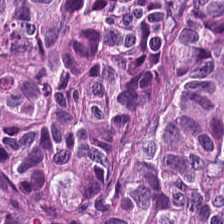0.5 µm per pixel; formalin-fixed paraffin-embedded section; H&E — Predominantly colorectal adenocarcinoma epithelium.
